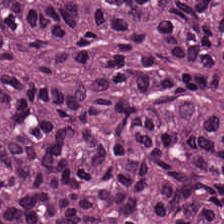The tissue is adenocarcinoma.
